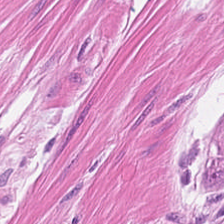H&E.
Muscularis.
